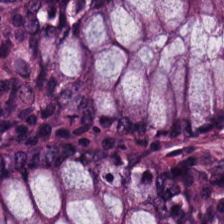H&E stain; brightfield. The predominant tissue is non-neoplastic colon mucosa.
